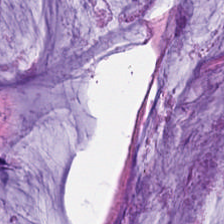H&E stain. 0.5 µm per pixel.
Showing extracellular mucin.
